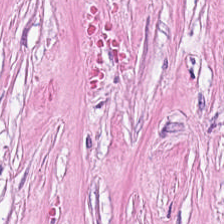224×224 px tile. H&E-stained tissue section.
Q: What tissue is shown?
A: It is tumor-associated stroma.
